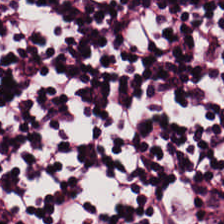Hematoxylin and eosin. Lymphocytic infiltrate.
